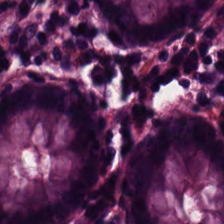Stain: H&E-stained tissue section.
Tissue: normal colon mucosa.
